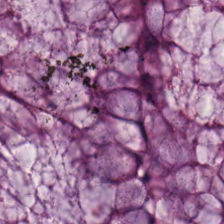Non-neoplastic colon mucosa.
